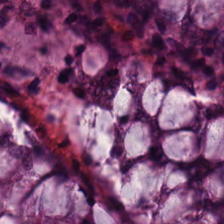Stain: hematoxylin and eosin.
Acquisition: WSI patch.
Tissue: non-neoplastic colon mucosa.
